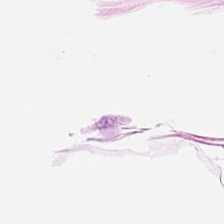Hematoxylin and eosin.
Tissue type: adipose tissue.
